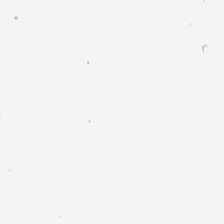Stain: hematoxylin and eosin.
Content: no tissue.
